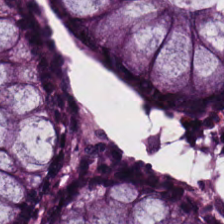H&E. 224×224 px tile. FFPE — Showing normal colonic mucosa.
